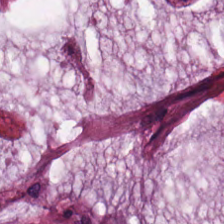224×224 px tile · WSI patch · H&E. Q: What type of tissue is this?
A: It is extracellular mucin.
